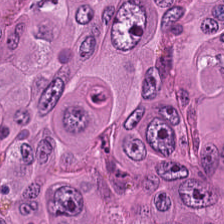H&E — Histology — adenocarcinoma.
